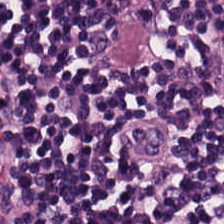Hematoxylin-and-eosin stained section. This field is lymphocytic infiltrate.
